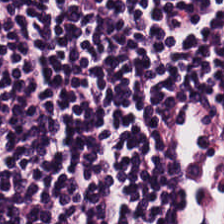Hematoxylin-and-eosin stained section — Q: What tissue is shown?
A: Lymphocyte aggregate.
